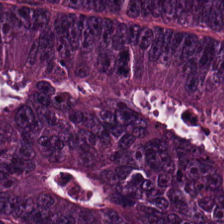0.5 µm/px; H&E stain. The tissue class is malignant epithelium.
